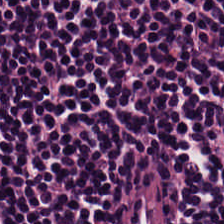H&E-stained tissue section.
The tissue here is lymphocyte aggregate.
